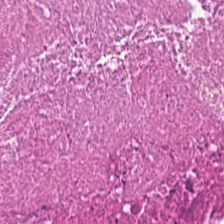Stain: H&E stain.
Classification: necrotic debris.
